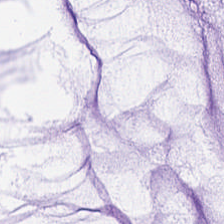Finding — mucin.
